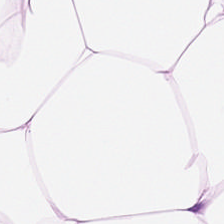Hematoxylin and eosin. Tissue type: adipose tissue.
